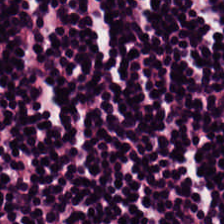The tissue here is lymphoid infiltrate.
